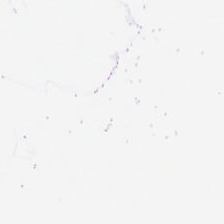H&E-stained tissue section; brightfield microscopy.
No tissue present; background only.
